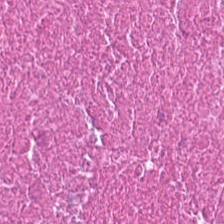H&E stain · brightfield · 224×224 px tile.
Impression — cellular debris.
